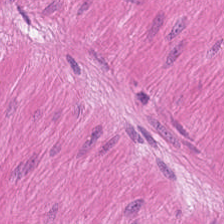0.5 microns per pixel · H&E stain. Tissue type = smooth-muscle tissue.
